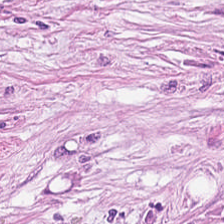Stain: H&E stain.
Acquisition: brightfield.
Tissue type: tumor stroma.
